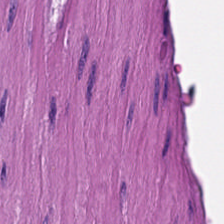0.5 µm per pixel · hematoxylin-and-eosin stained section. The predominant tissue is muscularis.
